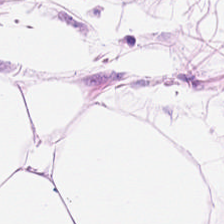FFPE; hematoxylin and eosin; whole-slide-image patch. Tissue class = fat tissue.
